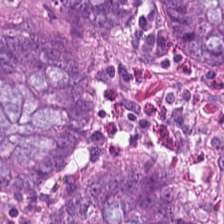The tissue here is normal colon mucosa.
